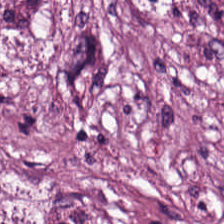Stain: H&E-stained tissue section.
Tissue type: tumor stroma.
